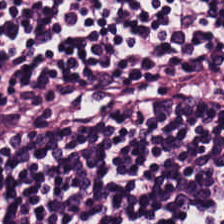Predominant tissue: lymphocytes.
